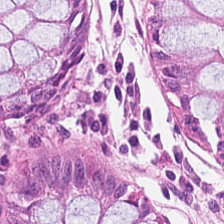Hematoxylin and eosin. Q: Identify the tissue.
A: Benign colonic mucosa.
